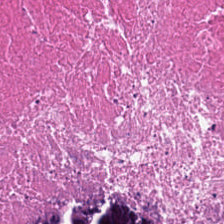H&E-stained tissue section showing debris.
